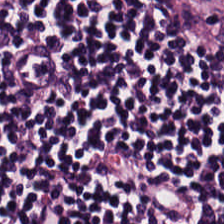H&E.
The predominant tissue is lymphocytic infiltrate.
